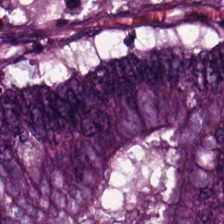H&E stain. Predominant tissue: tumor epithelium.
